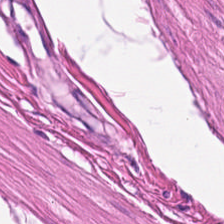H&E-stained tissue section.
Predominantly muscularis.
